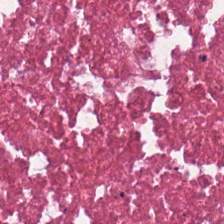Stain: hematoxylin-and-eosin stained section.
Resolution: 0.5 µm per pixel.
Preparation: formalin-fixed paraffin-embedded section.
Classification: debris.
